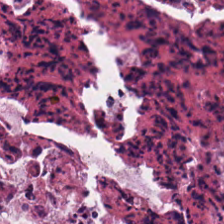Finding — cellular debris.
